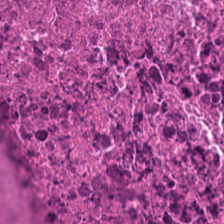H&E — debris.
